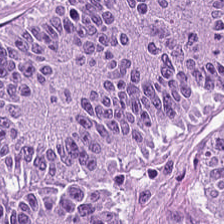The tissue here is malignant epithelium.
